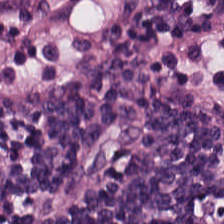H&E-stained tissue section.
{"tissue_type": "lymphocytic infiltrate"}
